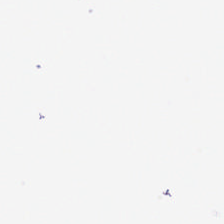Field content — background.
